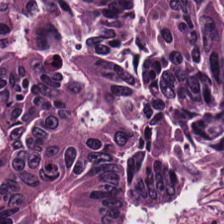This patch shows tumor epithelium.
